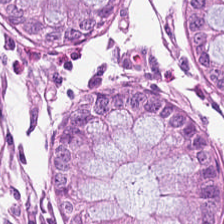224×224 px tile; H&E stain; 20× equivalent magnification — Tissue class = normal colonic mucosa.
